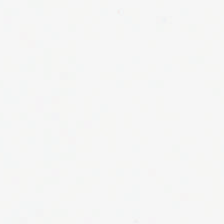H&E stain.
No tissue present; background only.
